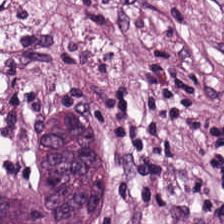FFPE tissue section. H&E stain — Tissue type: tumor stroma.
